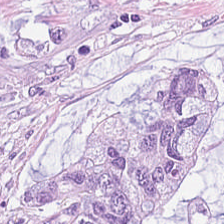Mucin.
